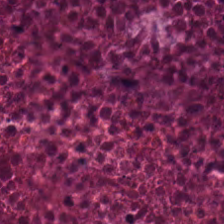Hematoxylin and eosin. 224×224 pixel tile. This field is necrotic debris.
